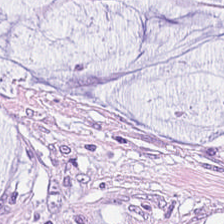Stain: H&E-stained tissue section.
Tissue class: mucin.
